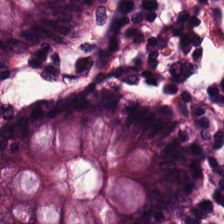H&E · 20× equivalent magnification.
Q: What tissue type is shown here?
A: The field shows benign colonic mucosa.
